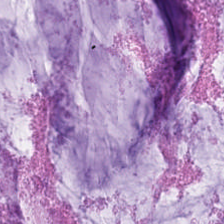Showing mucus.
